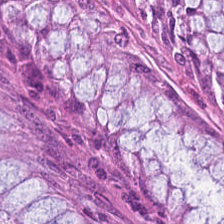Showing benign colonic mucosa.
